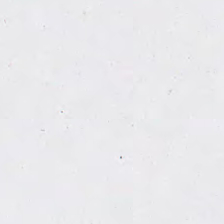Hematoxylin-and-eosin stained section. This patch shows no tissue.
